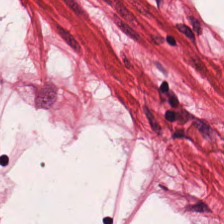Histology — smooth-muscle tissue.
